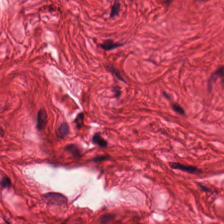Stain: hematoxylin and eosin.
Classification: smooth muscle.
